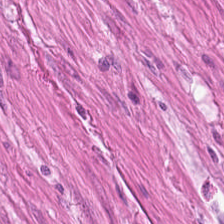H&E-stained tissue section — Tissue — smooth muscle.
